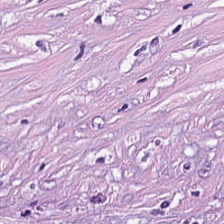224×224 px patch · hematoxylin-and-eosin stained section · FFPE.
Cancer-associated stroma.
